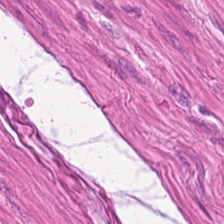Hematoxylin-and-eosin stained section · formalin-fixed paraffin-embedded section.
Q: What does this patch show?
A: It is smooth muscle.
